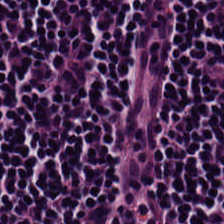H&E — Predominant tissue: lymphocytic infiltrate.
